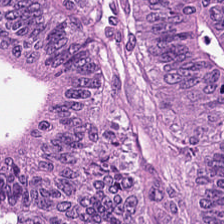Stain: hematoxylin-and-eosin stained section.
Preparation: formalin-fixed paraffin-embedded section.
Resolution: 0.5 microns per pixel.
Tissue class: colorectal adenocarcinoma epithelium.
